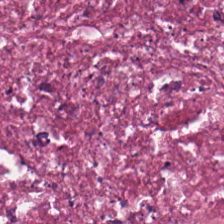Tissue class: necrotic debris.
